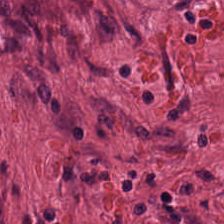Hematoxylin and eosin.
Showing desmoplastic stroma.
